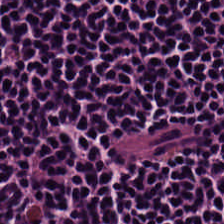H&E.
Q: Identify the tissue.
A: The field shows lymphoid infiltrate.
